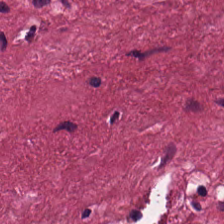224×224 pixel tile; hematoxylin-and-eosin stained section. Q: Classify this patch.
A: This is tumor stroma.
